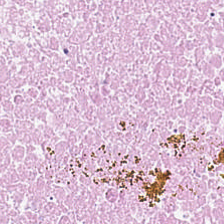H&E stain. Q: What is shown here?
A: The field shows cellular debris.
